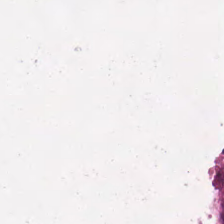H&E-stained tissue section.
Predominant tissue = necrotic debris.
